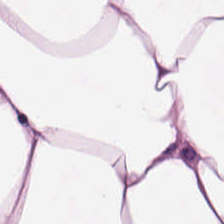Hematoxylin-and-eosin stained section. Q: What tissue type is shown here?
A: It is adipose tissue.
